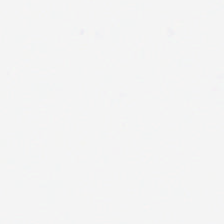Hematoxylin and eosin.
Field content: empty background.
